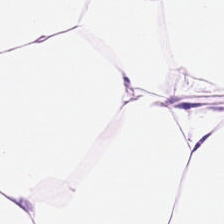Showing fat tissue.
